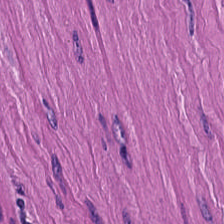H&E.
Smooth muscle.
